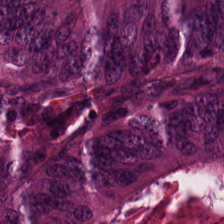Predominant tissue — adenocarcinoma.
